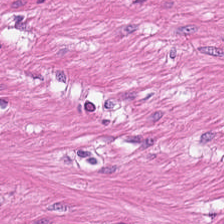The tissue is smooth-muscle tissue.
